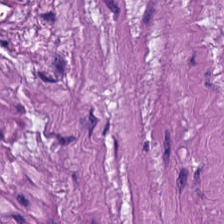224×224 px patch · H&E — Q: What is shown in this field?
A: Smooth muscle.
